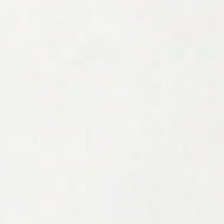H&E · FFPE.
No tissue.
